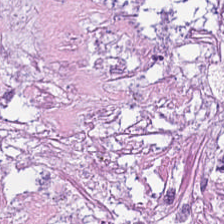224×224 px patch · H&E stain · FFPE — Predominantly necrotic debris.
